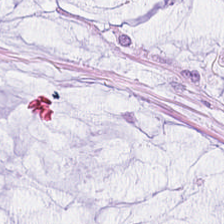Stain: H&E stain.
Classification: mucin.
